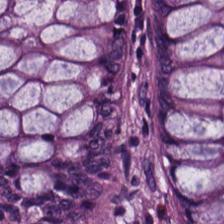Hematoxylin-and-eosin stained section — Classification = normal colonic mucosa.
